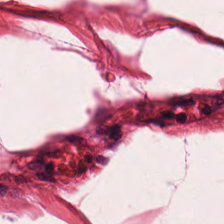H&E-stained tissue section. 20× equivalent magnification.
Impression — smooth-muscle tissue.
